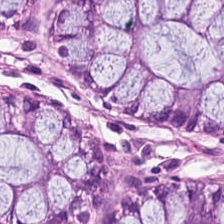This patch shows non-neoplastic colon mucosa.
